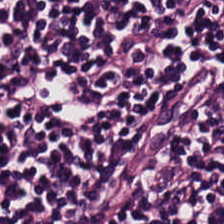Hematoxylin-and-eosin stained section.
Predominantly lymphocyte aggregate.
